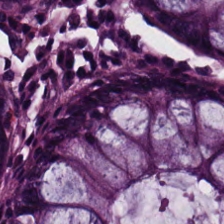Histology → normal colon mucosa.
